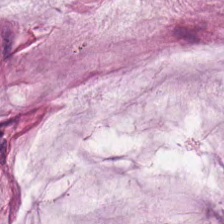Formalin-fixed paraffin-embedded section · hematoxylin and eosin · 224×224 px tile.
This field is mucus.
